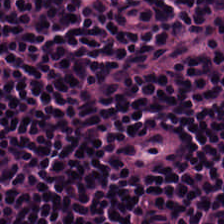{"tissue_type": "lymphocytic infiltrate"}
